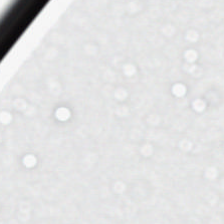H&E · 224×224 px tile · FFPE tissue section. Q: What is shown here?
A: This is no tissue.
